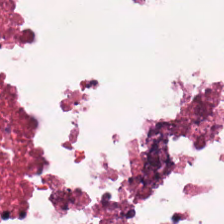Hematoxylin-and-eosin stained section.
{"tissue_type": "debris"}
